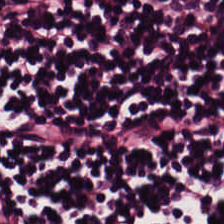Hematoxylin-and-eosin stained section.
Classification: lymphoid infiltrate.
